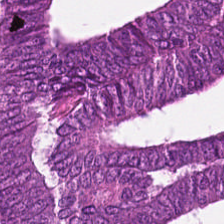Hematoxylin and eosin — Predominant tissue — colorectal adenocarcinoma epithelium.
